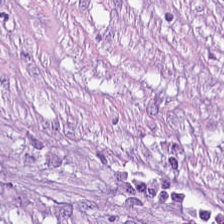Stain: hematoxylin and eosin.
Classification: desmoplastic stroma.
